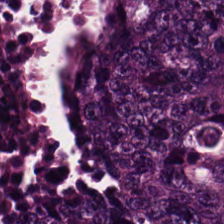The tissue here is malignant epithelium.
